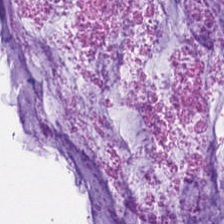Stain: H&E stain.
Tile size: 224×224 pixel tile.
Tissue type: mucin.
